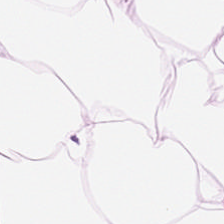H&E-stained section; the field shows adipocytes.
